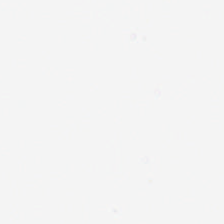H&E stain. WSI patch. Background — no tissue in this field.
